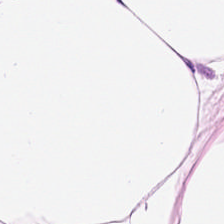Q: What tissue is shown?
A: Adipose tissue.
